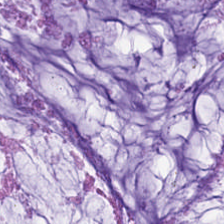FFPE tissue section; 224×224 px tile; H&E stain — {"tissue_type": "extracellular mucin"}
